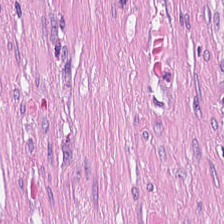224×224 px tile; hematoxylin-and-eosin stained section.
Tissue type = desmoplastic stroma.
